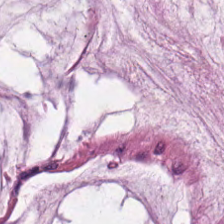Tissue: mucin.
